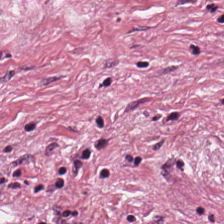The tissue type is desmoplastic stroma.
